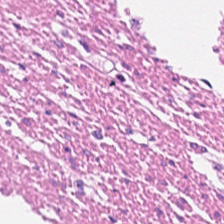Hematoxylin-and-eosin stained section. This field is smooth-muscle tissue.
